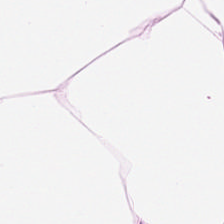Stain: hematoxylin-and-eosin stained section.
Tissue class: adipocytes.
